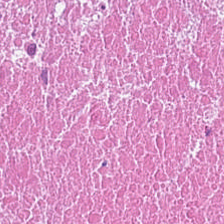H&E — Tissue = necrotic debris.
